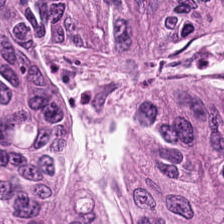H&E-stained tissue section · 0.5 microns per pixel.
{"tissue_type": "tumor epithelium"}
